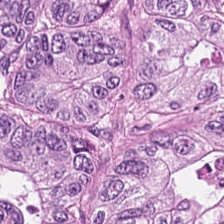H&E-stained tissue section · 0.5 µm/px · 224×224 px patch — The predominant tissue is colorectal adenocarcinoma epithelium.
